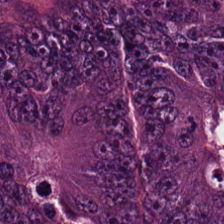Formalin-fixed paraffin-embedded section · hematoxylin and eosin.
The tissue type is adenocarcinoma.
